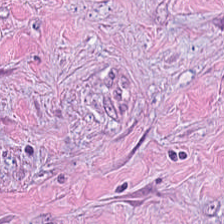224×224 px tile. H&E. FFPE — Predominant tissue: tumor stroma.
